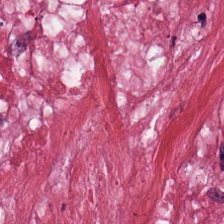H&E stain.
Showing desmoplastic stroma.
